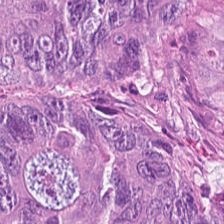Q: Classify this patch.
A: It is tumor epithelium.
